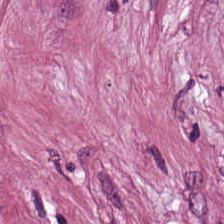H&E stain.
The tissue here is cancer-associated stroma.
